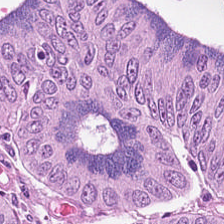Hematoxylin-and-eosin stained section. The tissue here is colorectal adenocarcinoma.
